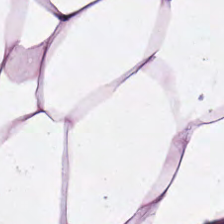Hematoxylin and eosin.
This field is adipose tissue.
